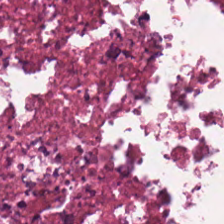This patch shows debris.
